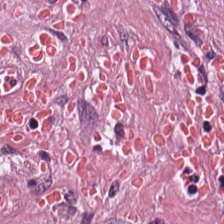Brightfield · hematoxylin-and-eosin stained section — Q: What is shown in this field?
A: Desmoplastic stroma.
